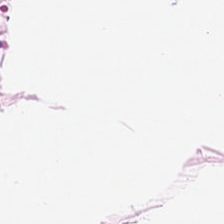Hematoxylin-and-eosin stained section. 20× equivalent magnification.
This field is adipose tissue.
